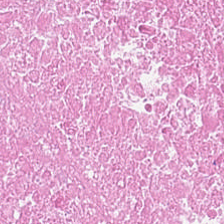FFPE. Hematoxylin-and-eosin stained section — Q: What is shown here?
A: Cellular debris.
